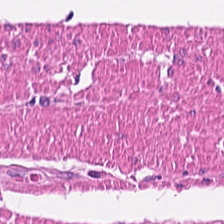H&E stain — The tissue here is muscularis.
